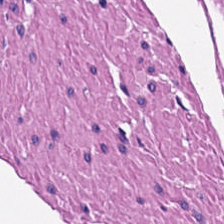Hematoxylin-and-eosin stained section · 0.5 µm per pixel · WSI patch.
Q: What tissue is shown?
A: This is smooth muscle.
